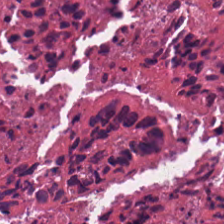Stain: H&E.
Resolution: 0.5 µm/px.
Predominant tissue: cellular debris.
